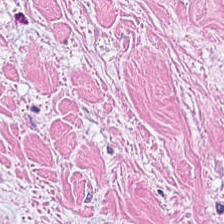Whole-slide-image patch. Formalin-fixed paraffin-embedded section. H&E stain. The tissue here is tumor stroma.
